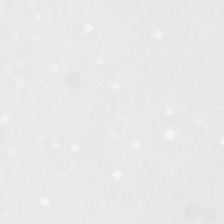Hematoxylin and eosin. This patch shows no tissue.
